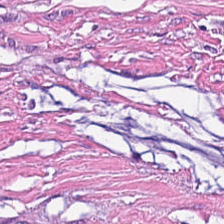The tissue here is cancer-associated stroma.
